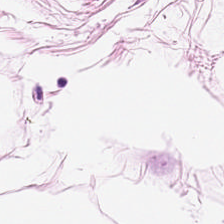H&E — Q: Classify this patch.
A: The field shows adipocytes.
